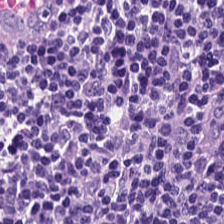Showing lymphoid infiltrate.
